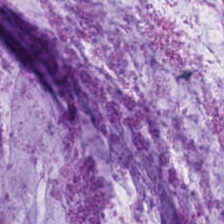Tissue class: mucin.
